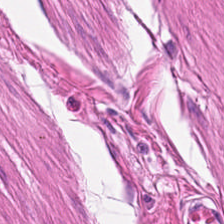Hematoxylin and eosin — Predominant tissue — muscularis.
